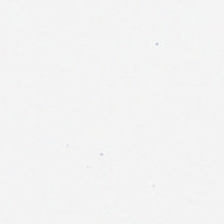Hematoxylin-and-eosin stained section. This field is background (no tissue).
